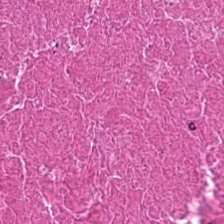H&E-stained tissue section. 224×224 pixel tile. Q: What type of tissue is this?
A: It is necrotic debris.
